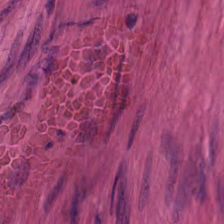H&E stain.
The classification is muscularis.
